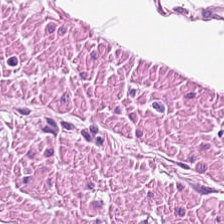0.5 µm per pixel. H&E-stained tissue section — Predominantly muscularis.
